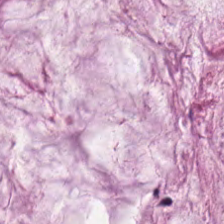H&E-stained tissue section. Whole-slide-image patch. 224×224 px tile — Extracellular mucin.
